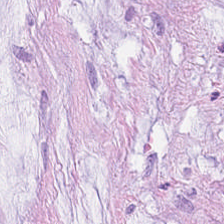Q: What does this patch show?
A: Mucus.
